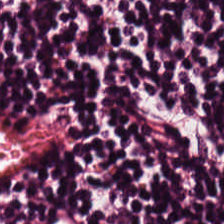Tissue class — lymphocyte aggregate.
